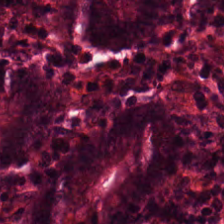WSI patch. 224×224 px patch. H&E — Showing normal colon mucosa.
